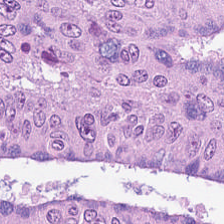224×224 px tile · H&E stain — This field is malignant epithelium.
